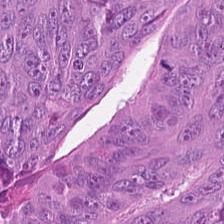Hematoxylin-and-eosin stained section. Histology — malignant epithelium.
